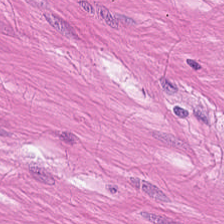Hematoxylin and eosin — Tissue type = muscularis.
